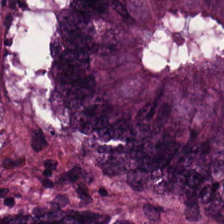Stain: hematoxylin and eosin.
Preparation: formalin-fixed paraffin-embedded section.
Acquisition: brightfield microscopy.
Tissue class: colorectal adenocarcinoma.
